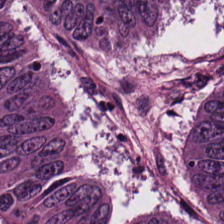The tissue here is adenocarcinoma.
